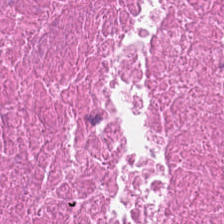H&E; 20× equivalent magnification; FFPE.
Q: What tissue is shown?
A: Debris.
